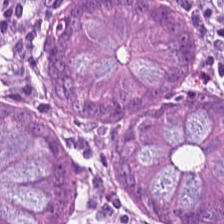Histology → normal colonic mucosa.
